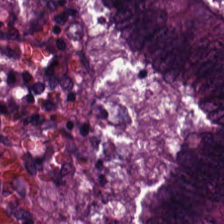Tissue type: adenocarcinoma.
